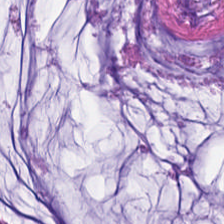Formalin-fixed paraffin-embedded section; H&E; brightfield — Q: What does this patch show?
A: The field shows mucus.
